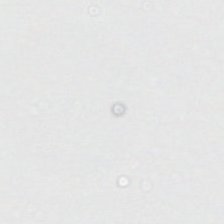Hematoxylin-and-eosin stained section. Q: What does this patch show?
A: This is empty background.
